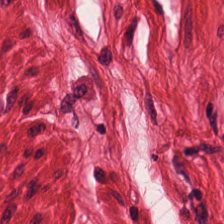Stain: H&E.
Tile size: 224×224 px tile.
Predominant tissue: smooth-muscle tissue.
